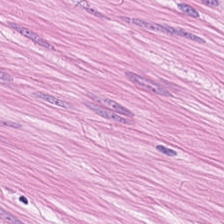H&E-stained tissue section — Showing smooth-muscle tissue.
